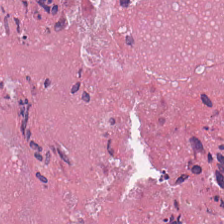Brightfield; H&E-stained tissue section.
The tissue type is cellular debris.
